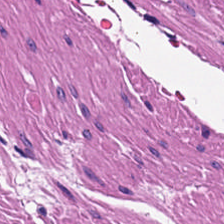FFPE · 224×224 px tile · H&E stain — Showing smooth-muscle tissue.
